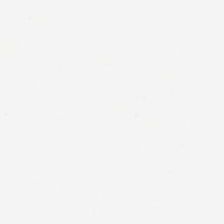Stain: hematoxylin-and-eosin stained section.
Content: no tissue.
